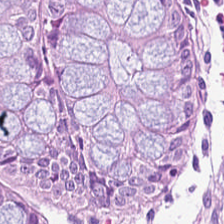H&E — Q: What is shown here?
A: Normal colon mucosa.
